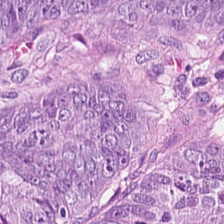Hematoxylin-and-eosin stained section. Histology → tumor epithelium.
